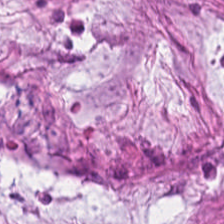H&E stain — Predominantly cancer-associated stroma.
